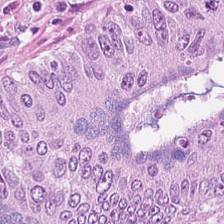H&E stain · 20× equivalent magnification. Q: What is shown in this field?
A: This is colorectal adenocarcinoma epithelium.
